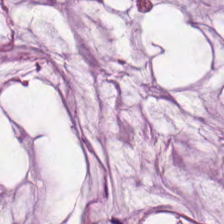Brightfield; 224×224 px patch; hematoxylin-and-eosin stained section.
Tissue class: extracellular mucin.
